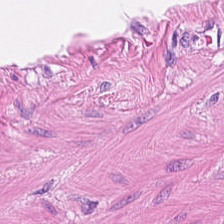H&E-stained tissue section · FFPE — Q: Identify the tissue.
A: This is smooth muscle.
